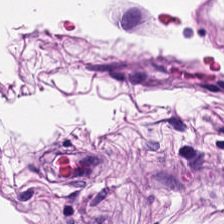Tissue class: smooth muscle.
